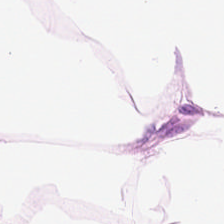H&E stain.
This patch shows adipose tissue.
